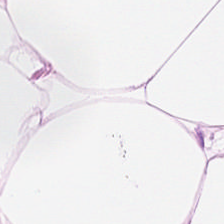H&E-stained tissue section — Predominantly fat tissue.
